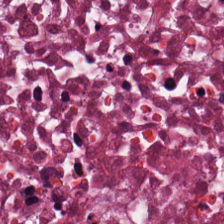H&E stain; 0.5 µm/px; FFPE tissue section.
The predominant tissue is cellular debris.
